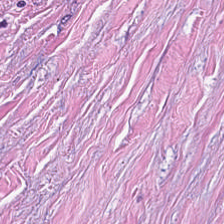H&E stain — Predominantly tumor stroma.
